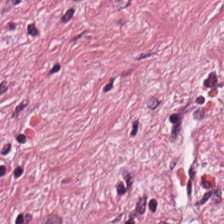H&E.
Impression — desmoplastic stroma.
